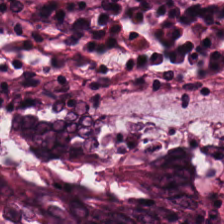Impression → non-neoplastic colon mucosa.
